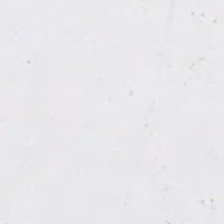Background.
